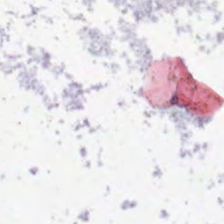This patch shows background.
